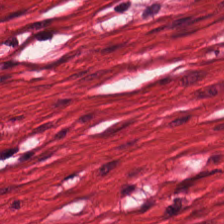H&E-stained tissue section. 224×224 px tile. Brightfield — Predominantly smooth-muscle tissue.
